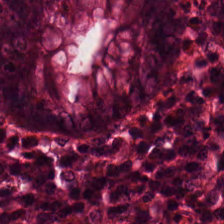H&E. Predominant tissue = non-neoplastic colon mucosa.
